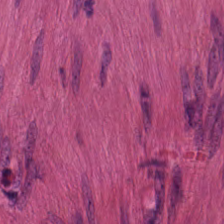224×224 px tile. Hematoxylin-and-eosin stained section — This field is smooth-muscle tissue.
